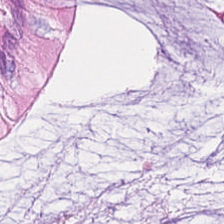{"tissue_type": "benign colonic mucosa"}
